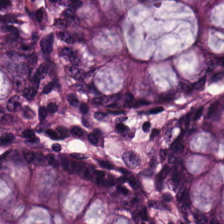H&E-stained tissue section. 224×224 pixel tile. FFPE tissue section — {"tissue_type": "non-neoplastic colon mucosa"}
